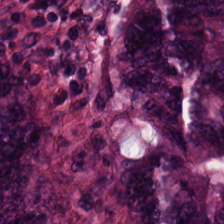FFPE tissue section. Whole-slide-image patch. H&E — {"tissue_type": "tumor epithelium"}
